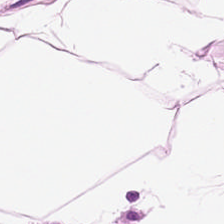Hematoxylin-and-eosin stained section.
The classification is adipose.
